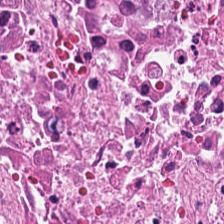Hematoxylin and eosin — The tissue here is necrotic debris.
